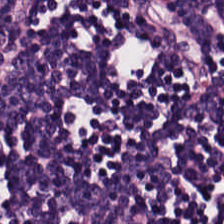H&E stain — Histology — lymphoid infiltrate.
